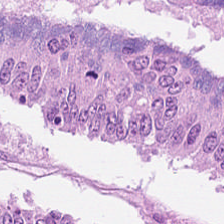H&E — colorectal adenocarcinoma.
